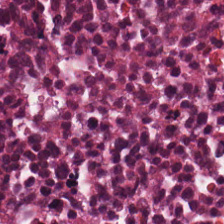Hematoxylin and eosin. Tissue type — necrotic debris.
